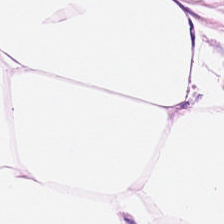H&E stain. 224×224 pixel tile.
Q: Classify this patch.
A: The field shows adipose.
